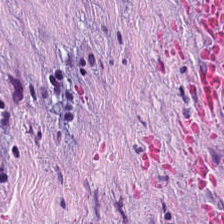Hematoxylin-and-eosin stained section — Q: What tissue type is shown here?
A: It is tumor-associated stroma.
